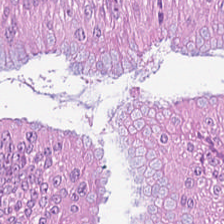The tissue is colorectal adenocarcinoma.
